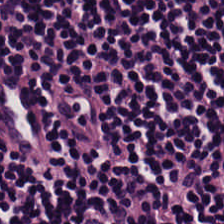Hematoxylin-and-eosin stained section.
Finding → lymphocyte aggregate.
